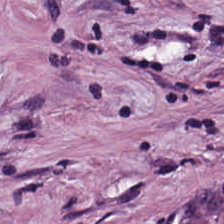Stain: H&E-stained tissue section.
Tissue class: desmoplastic stroma.
